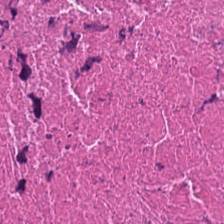Stain: H&E-stained tissue section.
Tile size: 224×224 px patch.
Tissue type: cellular debris.
